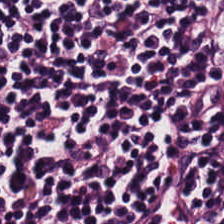0.5 µm per pixel; H&E stain — The tissue here is lymphocytic infiltrate.
